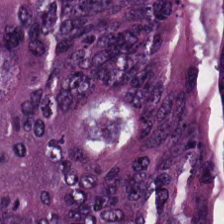0.5 µm per pixel; hematoxylin and eosin. Predominantly colorectal adenocarcinoma.
